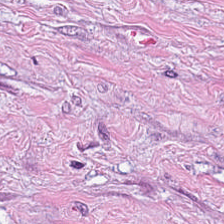Hematoxylin-and-eosin stained section. This patch shows tumor stroma.
